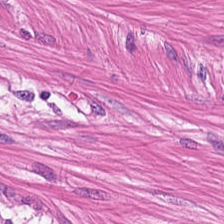H&E — Impression → smooth-muscle tissue.
